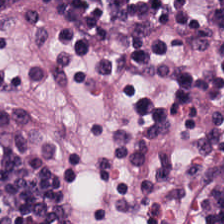H&E. The classification is lymphocytic infiltrate.
